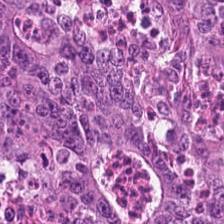Finding — colorectal adenocarcinoma epithelium.
